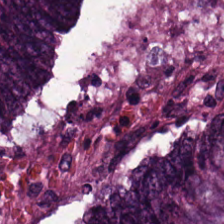H&E.
{"tissue_type": "adenocarcinoma"}
